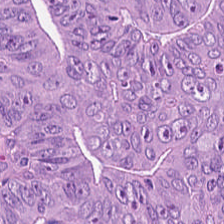Brightfield · H&E stain — Q: What tissue is shown?
A: The field shows colorectal adenocarcinoma epithelium.
